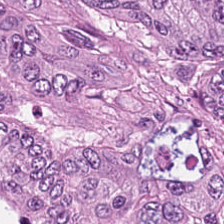Hematoxylin and eosin; 224×224 pixel tile; FFPE tissue section. This field is malignant epithelium.
